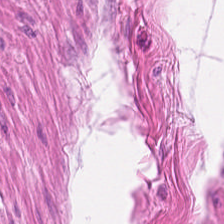H&E patch showing smooth-muscle tissue.
